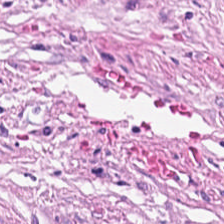Hematoxylin and eosin; WSI patch — Tumor stroma.
